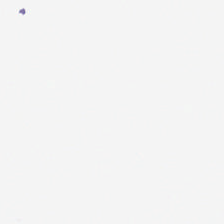Brightfield. Hematoxylin and eosin. 224×224 px patch — Background — no tissue in this field.
